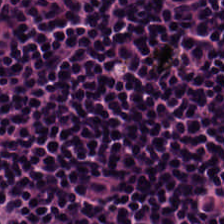Predominant tissue: lymphocytes.
